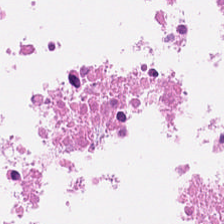224×224 px tile. H&E.
The predominant tissue is debris.
